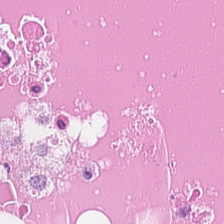H&E-stained section; the field shows cellular debris.
